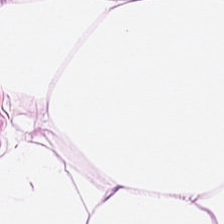Tissue type = fat tissue.
